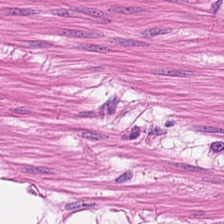H&E-stained tissue section. Tissue type: muscularis.
